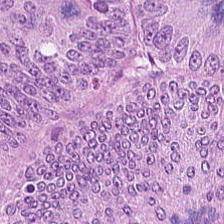H&E-stained tissue section. This field is adenocarcinoma.
